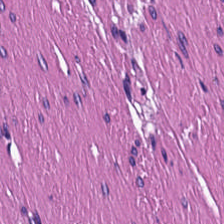224×224 pixel tile; hematoxylin-and-eosin stained section — Q: What is the predominant tissue type?
A: The field shows muscularis.
